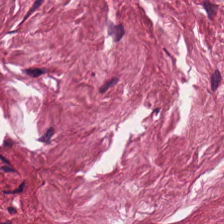H&E-stained tissue section. Brightfield. Formalin-fixed paraffin-embedded section — This patch shows tumor-associated stroma.
